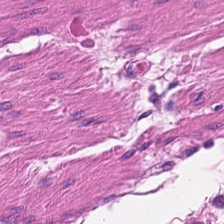0.5 µm per pixel · hematoxylin and eosin · 224×224 pixel tile.
Smooth muscle.
